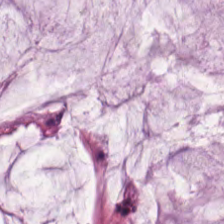Hematoxylin and eosin. The predominant tissue is extracellular mucin.
